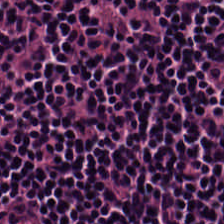Stain: H&E stain.
Classification: lymphocyte aggregate.
